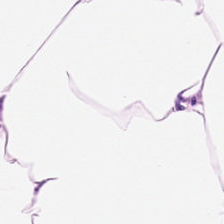H&E.
Q: Classify this patch.
A: Adipocytes.
